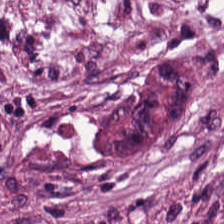Q: What is the predominant tissue type?
A: This is cancer-associated stroma.
